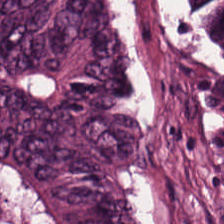Stain: H&E-stained tissue section.
Tissue type: malignant epithelium.
